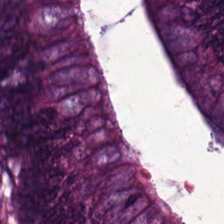Q: What is the predominant tissue type?
A: It is colorectal adenocarcinoma.
